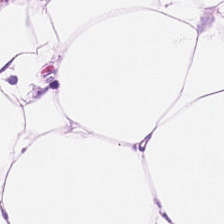WSI patch. H&E-stained tissue section. Tissue class = adipose.
